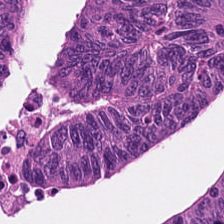Hematoxylin-and-eosin stained section.
Q: What does this patch show?
A: This is tumor epithelium.
